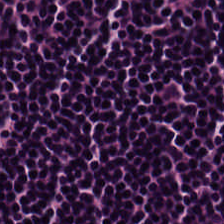Stain: hematoxylin and eosin.
Tissue type: lymphocyte aggregate.
